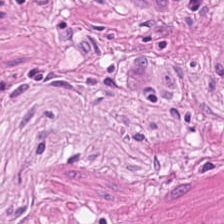H&E patch showing smooth muscle.
